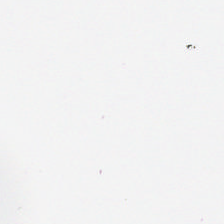This patch shows no tissue.
